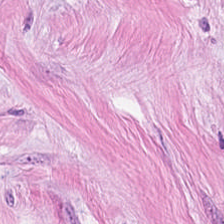Hematoxylin-and-eosin stained section.
Finding → desmoplastic stroma.
